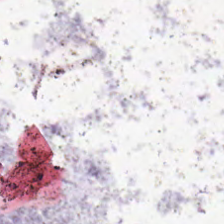Q: Classify this patch.
A: Background (no tissue).
